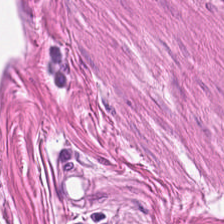H&E-stained tissue section. 224×224 pixel tile. Histology → smooth-muscle tissue.
